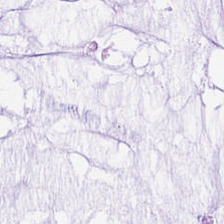Hematoxylin-and-eosin stained section; 20× equivalent magnification — Predominantly extracellular mucin.
